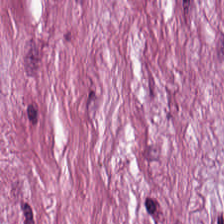Tissue — cancer-associated stroma.
